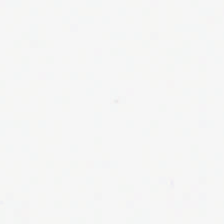No tissue present; background only.
